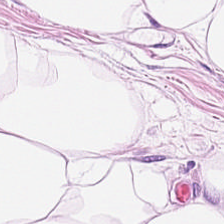Brightfield microscopy; H&E stain; 224×224 pixel tile. This patch shows adipocytes.
